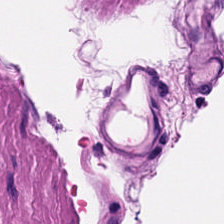Brightfield microscopy; hematoxylin and eosin; 224×224 pixel tile. Showing muscularis.
